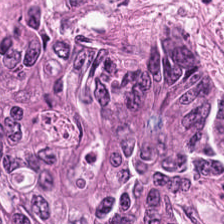224×224 px patch · brightfield · H&E-stained tissue section — Tissue type = colorectal adenocarcinoma.
